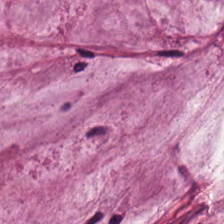H&E.
The tissue type is mucin.
